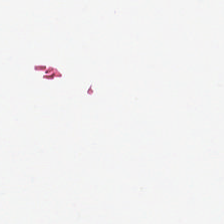H&E-stained tissue section — The classification is no tissue.
